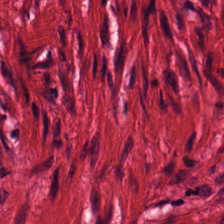H&E-stained tissue section — Predominantly muscularis.
